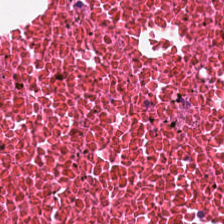Brightfield. Hematoxylin-and-eosin stained section. FFPE tissue section. Q: What tissue is shown?
A: It is debris.
